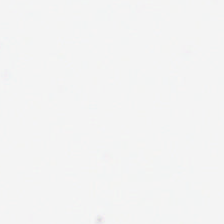224×224 px patch · H&E stain · FFPE — Background — no tissue in this field.
